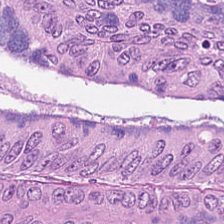Brightfield · H&E — Finding → tumor epithelium.
